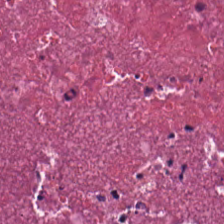H&E-stained tissue section · FFPE tissue section. Tissue class — necrotic debris.
